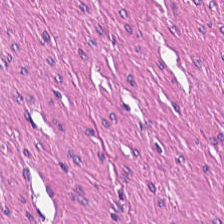H&E-stained tissue section. Brightfield microscopy. 0.5 microns per pixel. Q: What type of tissue is this?
A: The field shows muscularis.
